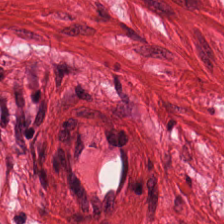224×224 px patch · H&E — Q: Identify the tissue.
A: This is muscularis.
